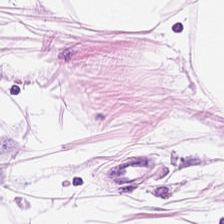H&E — adipose tissue.
